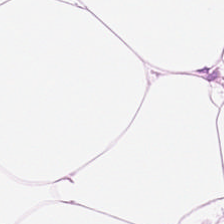Brightfield microscopy; H&E-stained tissue section; 224×224 px patch.
{"tissue_type": "adipose"}
